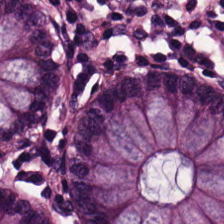H&E stain; 224×224 pixel tile.
{"tissue_type": "normal colonic mucosa"}
